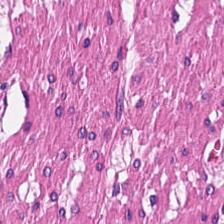Stain: H&E-stained tissue section.
Resolution: 0.5 µm/px.
Tissue class: muscularis.
